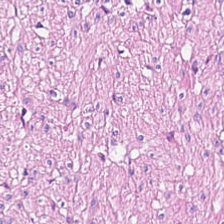Hematoxylin and eosin. The predominant tissue is smooth muscle.
